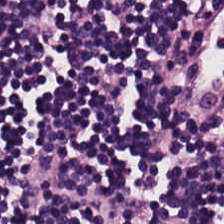WSI patch. 0.5 µm/px. Hematoxylin and eosin.
Impression → lymphocyte aggregate.
